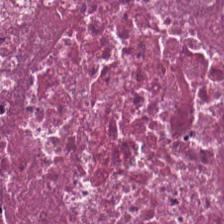H&E stain.
The predominant tissue is debris.
